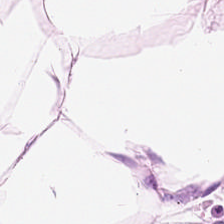Showing adipose tissue.
